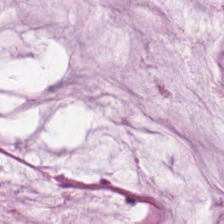H&E — extracellular mucin.
